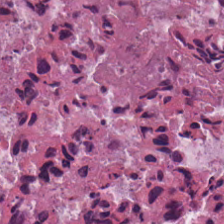H&E-stained section; the field shows cellular debris.
